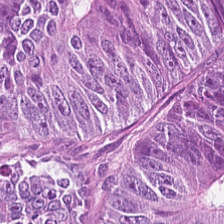Hematoxylin-and-eosin stained section — Histology — colorectal adenocarcinoma.
